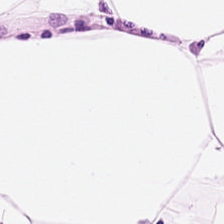H&E; 0.5 µm per pixel — Finding — fat tissue.
